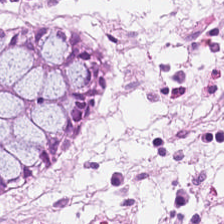Brightfield; H&E — This field is benign colonic mucosa.
